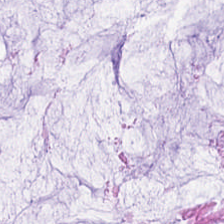H&E.
Showing normal colon mucosa.
